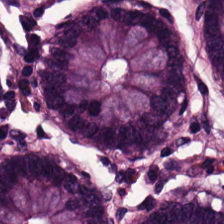H&E stain.
Showing non-neoplastic colon mucosa.
